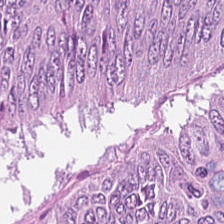Predominant tissue — colorectal adenocarcinoma epithelium.
